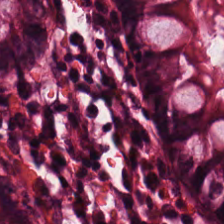{"tissue_type": "normal colon mucosa"}
